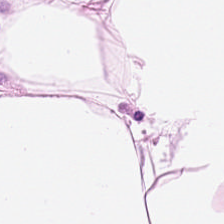Hematoxylin-and-eosin stained section — Histology — adipose tissue.
